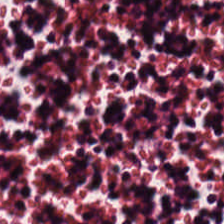H&E stain — Q: What tissue is shown?
A: It is lymphoid infiltrate.
